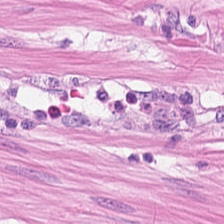Showing smooth muscle.
